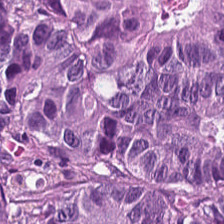H&E stain; brightfield. Predominantly colorectal adenocarcinoma.
